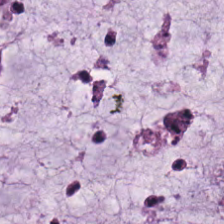Stain: hematoxylin and eosin.
Tissue class: mucin.
